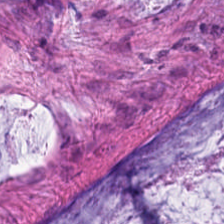0.5 µm/px · hematoxylin-and-eosin stained section · 224×224 px tile. Q: What type of tissue is this?
A: The field shows mucin.
